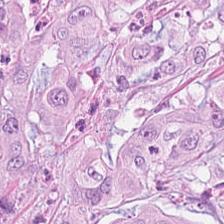H&E · 224×224 px patch. Predominantly adenocarcinoma.
